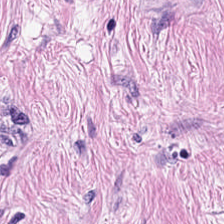H&E stain. Formalin-fixed paraffin-embedded section. 0.5 µm/px — This patch shows tumor stroma.
